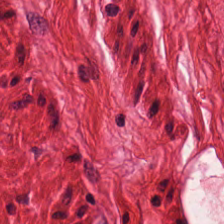0.5 microns per pixel; whole-slide-image patch; hematoxylin-and-eosin stained section.
Predominantly muscularis.
